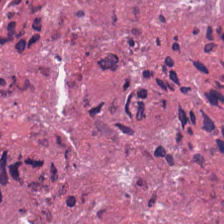H&E stain.
Predominant tissue = necrotic debris.
